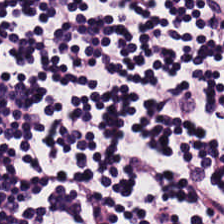Hematoxylin-and-eosin stained section. Classification: lymphoid infiltrate.
